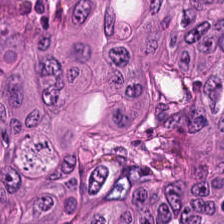H&E-stained section; the field shows adenocarcinoma.
